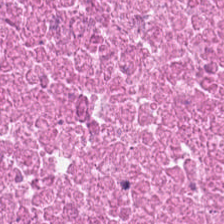H&E patch showing cellular debris.
